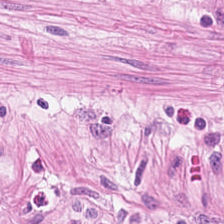Finding — smooth muscle.
